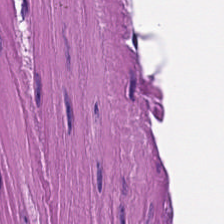The classification is muscularis.
